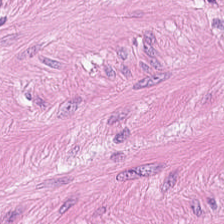Q: What is shown here?
A: It is smooth muscle.
